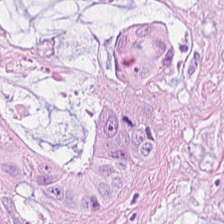Impression → tumor epithelium.
